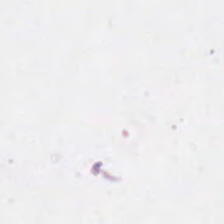Content: background (no tissue).
